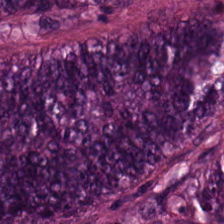Tumor epithelium.
